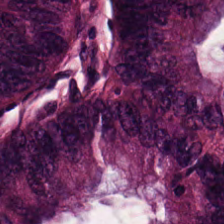Hematoxylin-and-eosin stained section.
Tissue = adenocarcinoma.
